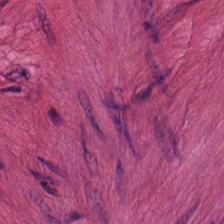Brightfield; 0.5 µm per pixel; H&E-stained tissue section.
Q: What does this patch show?
A: It is muscularis.
